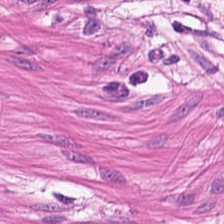Q: Classify this patch.
A: The field shows smooth muscle.
